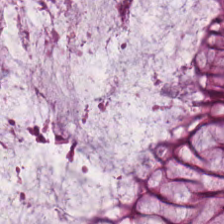Hematoxylin-and-eosin stained section — Showing normal colonic mucosa.
